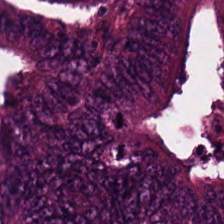The tissue here is colorectal adenocarcinoma epithelium.
